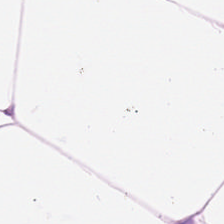FFPE tissue section; H&E — Impression — adipocytes.
